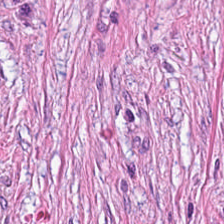H&E.
The predominant tissue is cancer-associated stroma.
